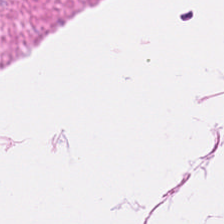WSI patch; H&E-stained tissue section. The classification is muscularis.
